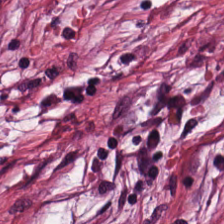Hematoxylin-and-eosin stained section.
Desmoplastic stroma.
